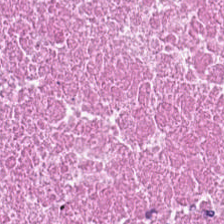Q: Classify this patch.
A: It is debris.
